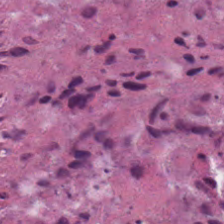Q: What is shown in this field?
A: The field shows debris.
